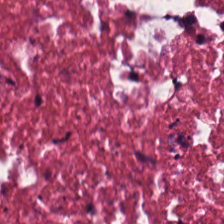Hematoxylin-and-eosin stained section — Q: What tissue is shown?
A: It is cellular debris.
